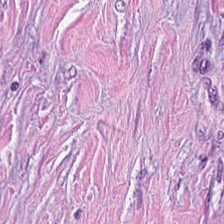H&E. Whole-slide-image patch. Formalin-fixed paraffin-embedded section. {"tissue_type": "tumor stroma"}
